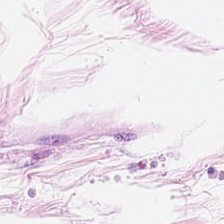Stain: H&E.
Classification: adipose tissue.
